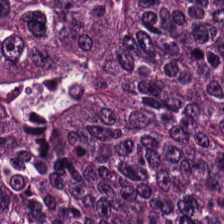Hematoxylin and eosin · WSI patch · 224×224 px patch.
Q: What does this patch show?
A: Adenocarcinoma.
